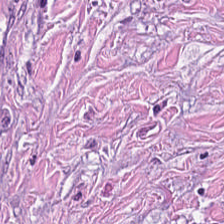Hematoxylin-and-eosin stained section — Finding → tumor stroma.
